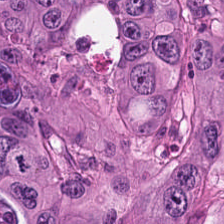Hematoxylin and eosin.
Impression — tumor epithelium.
